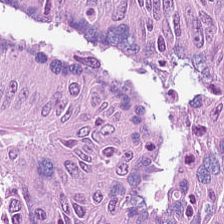Hematoxylin and eosin. Tissue class — adenocarcinoma.
